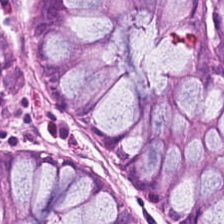H&E-stained tissue section.
Q: What is the predominant tissue type?
A: The field shows benign colonic mucosa.
